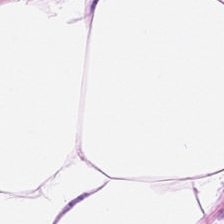Hematoxylin and eosin — Tissue type — adipose tissue.
